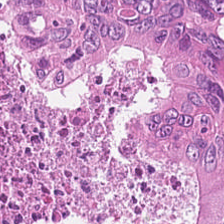Hematoxylin-and-eosin stained section. 0.5 microns per pixel. Whole-slide-image patch. Q: What is the predominant tissue type?
A: This is colorectal adenocarcinoma.
